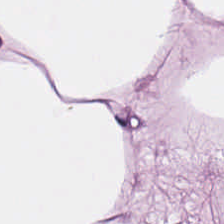0.5 microns per pixel; hematoxylin-and-eosin stained section — Classification = adipocytes.
